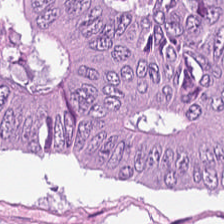H&E stain.
This field is tumor epithelium.
